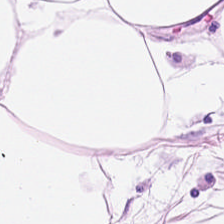H&E stain — This patch shows adipose tissue.
